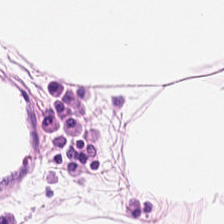H&E stain.
Q: What tissue type is shown here?
A: Adipocytes.
